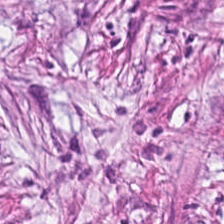Hematoxylin-and-eosin stained section. Q: What is shown here?
A: Tumor-associated stroma.
